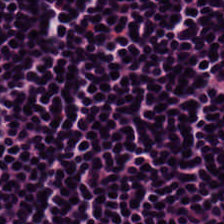Q: What tissue is shown?
A: The field shows lymphocytes.
